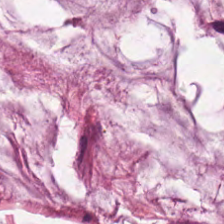Hematoxylin-and-eosin stained section. Brightfield microscopy — The predominant tissue is mucus.
